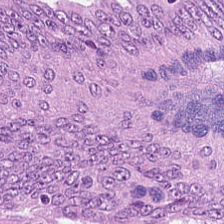WSI patch · 224×224 pixel tile · H&E-stained tissue section.
Q: Classify this patch.
A: The field shows malignant epithelium.
